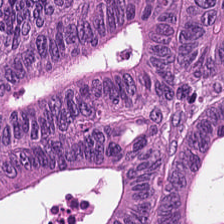H&E.
This patch shows malignant epithelium.
